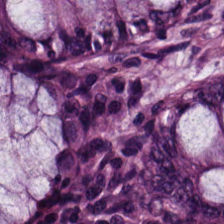The tissue class is non-neoplastic colon mucosa.
